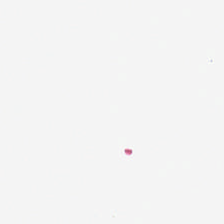Empty field — background.
